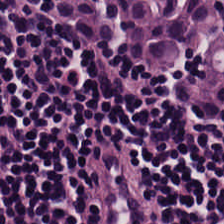H&E stain. Q: What is the predominant tissue type?
A: The field shows lymphocyte aggregate.
